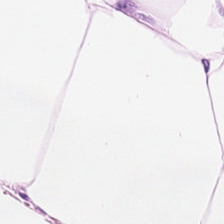Hematoxylin-and-eosin stained section. Showing fat tissue.
